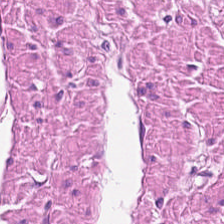Q: What is shown here?
A: Smooth-muscle tissue.
